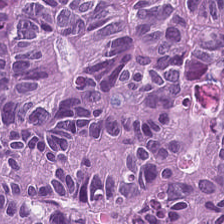Colorectal adenocarcinoma.
